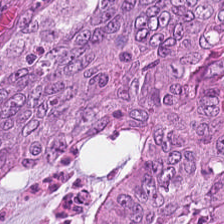Stain: H&E-stained tissue section.
Resolution: 0.5 microns per pixel.
Acquisition: WSI patch.
Classification: colorectal adenocarcinoma.
